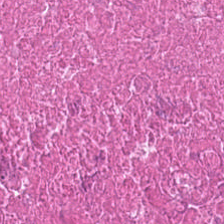H&E-stained tissue section — The predominant tissue is cellular debris.
